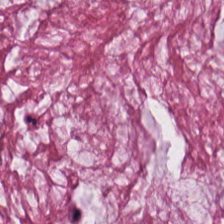Hematoxylin and eosin · brightfield · 0.5 µm/px.
Classification: mucus.
